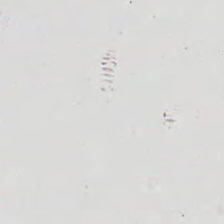Background — no tissue in this field.
